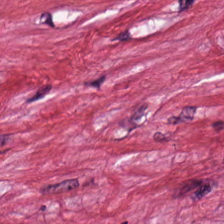FFPE tissue section; 224×224 px tile; H&E stain — Tissue class = desmoplastic stroma.
